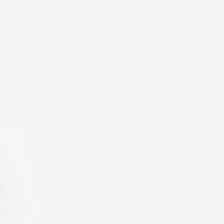Brightfield. H&E-stained tissue section. Histology → background (no tissue).
